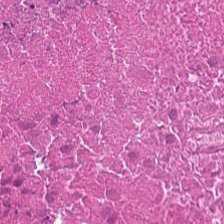Tissue class = necrotic debris.
